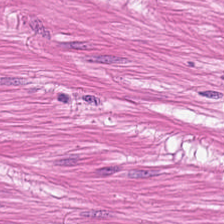Q: What is the predominant tissue type?
A: This is smooth muscle.
